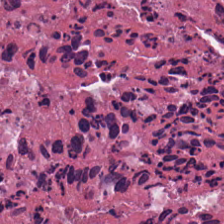FFPE; hematoxylin-and-eosin stained section; brightfield microscopy.
Q: Classify this patch.
A: It is debris.
